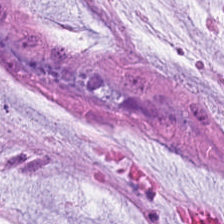H&E — Showing extracellular mucin.
